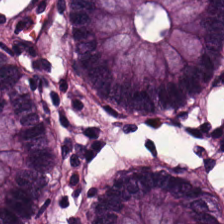Classification = benign colonic mucosa.
